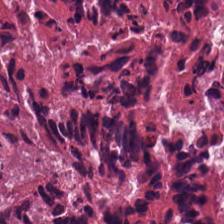Hematoxylin and eosin.
Showing necrotic debris.
